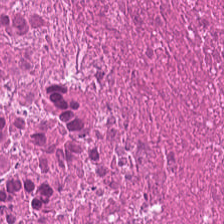Stain: H&E stain.
Tissue class: cellular debris.
